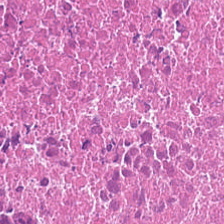0.5 µm/px; H&E-stained tissue section; FFPE. Showing cellular debris.
